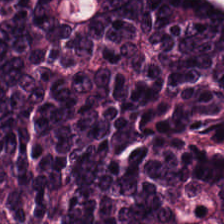The tissue here is adenocarcinoma.
